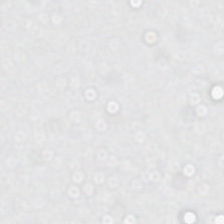Impression — background.
